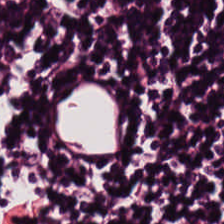The tissue class is lymphocyte aggregate.
